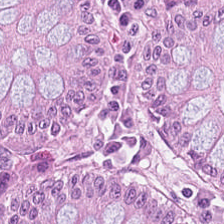H&E · FFPE. The tissue here is non-neoplastic colon mucosa.
